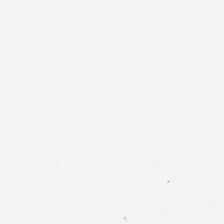Hematoxylin and eosin. This field is background (no tissue).
